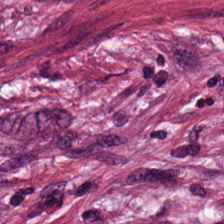H&E · 0.5 µm/px — The tissue class is tumor-associated stroma.
